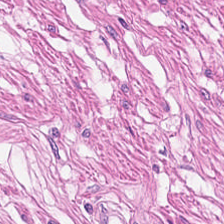H&E-stained tissue section.
Histology → smooth muscle.
